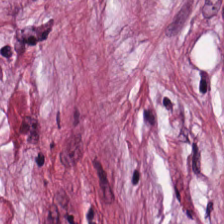Classification: cancer-associated stroma.
